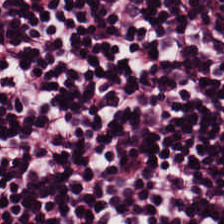H&E stain.
Finding → lymphocyte aggregate.
